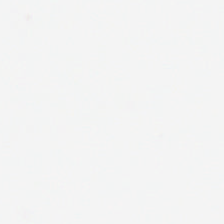Hematoxylin and eosin · formalin-fixed paraffin-embedded section — Q: Classify this patch.
A: Background (no tissue).
